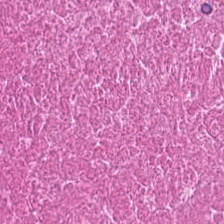WSI patch · H&E-stained tissue section. Cellular debris.
